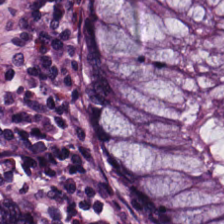This field is non-neoplastic colon mucosa.
